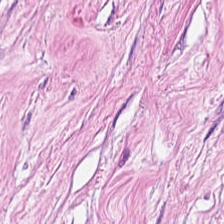H&E-stained tissue section.
Tissue class: tumor stroma.
